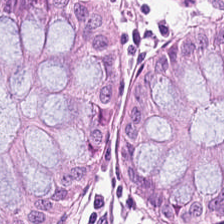Stain: H&E.
Predominant tissue: benign colonic mucosa.
